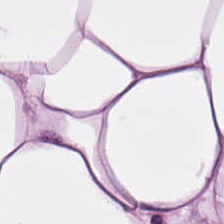H&E-stained tissue section. 224×224 px tile.
Showing fat tissue.
